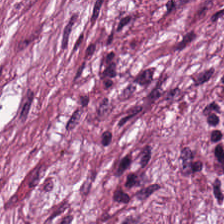Impression — tumor-associated stroma.
